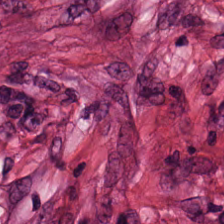FFPE tissue section. H&E-stained tissue section. Showing cancer-associated stroma.
